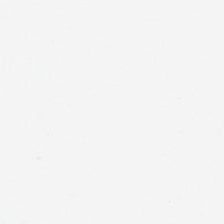Whole-slide-image patch · H&E stain · 0.5 µm/px.
Classification — no tissue.
